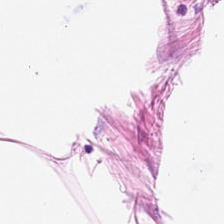H&E stain · 224×224 pixel tile — The classification is adipose.
